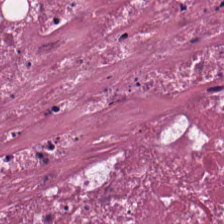FFPE tissue section · hematoxylin and eosin · brightfield microscopy.
Tissue class — necrotic debris.
